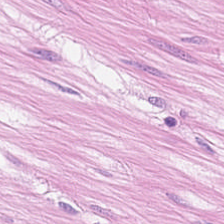Stain: hematoxylin and eosin.
Tissue: smooth-muscle tissue.
